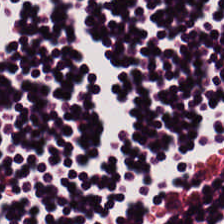Tissue type = lymphocyte aggregate.
